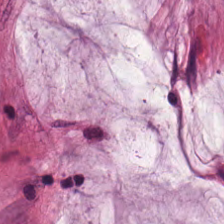H&E stain — This field is mucus.
